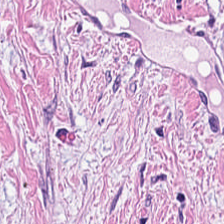FFPE tissue section; H&E.
Finding → tumor stroma.
